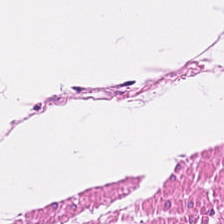The tissue type is smooth-muscle tissue.
